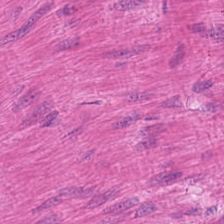WSI patch · H&E-stained tissue section.
This patch shows smooth muscle.
